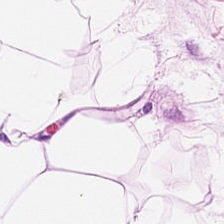Stain: H&E.
Classification: fat tissue.
